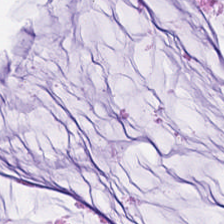Stain: hematoxylin-and-eosin stained section.
Resolution: 0.5 microns per pixel.
Tissue type: extracellular mucin.
